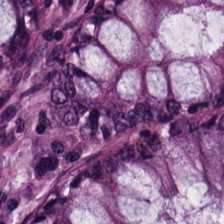Tissue = normal colon mucosa.
